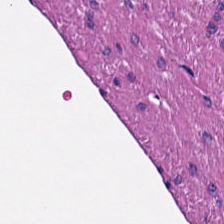Q: What is shown here?
A: This is muscularis.
